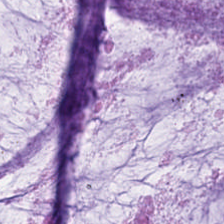H&E.
The predominant tissue is mucus.
